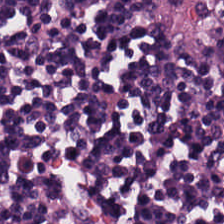H&E stain. Lymphocytic infiltrate.
